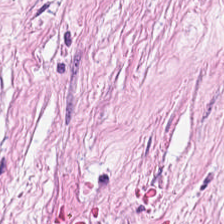H&E — Predominant tissue: tumor stroma.
